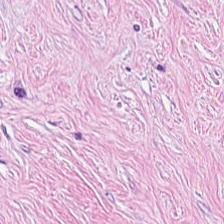Q: What is shown here?
A: This is tumor-associated stroma.
